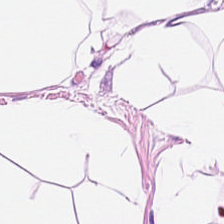H&E-stained tissue section · whole-slide-image patch.
Showing adipose.
